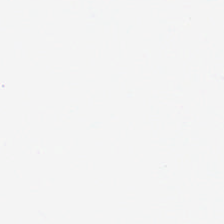Field content = no tissue.
